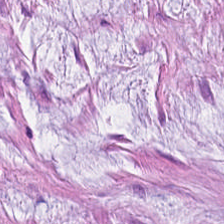Hematoxylin and eosin.
{"tissue_type": "extracellular mucin"}
